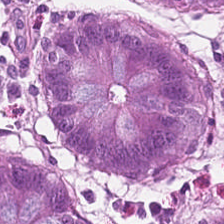The tissue class is normal colon mucosa.
